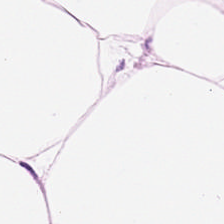Predominant tissue — fat tissue.
